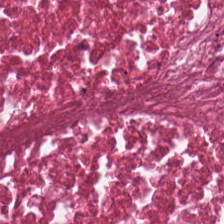Hematoxylin and eosin — {"tissue_type": "debris"}
